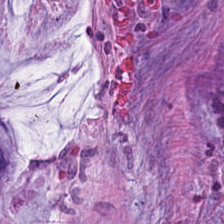H&E patch showing mucin.
